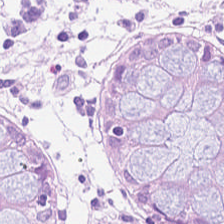Hematoxylin and eosin. Tissue = normal colon mucosa.
